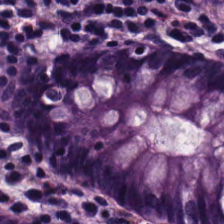224×224 px patch; H&E; 0.5 µm per pixel — The tissue here is normal colonic mucosa.
